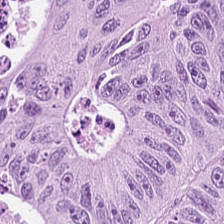FFPE tissue section; hematoxylin-and-eosin stained section; 224×224 pixel tile.
Colorectal adenocarcinoma epithelium.
